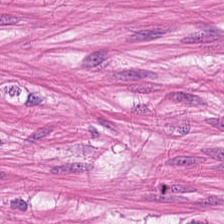FFPE. Hematoxylin and eosin. Histology → smooth muscle.
